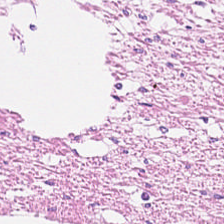224×224 pixel tile · H&E · brightfield. Showing muscularis.
